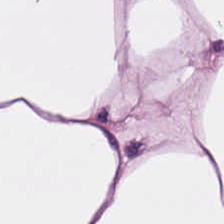Hematoxylin-and-eosin stained section.
Fat tissue.
